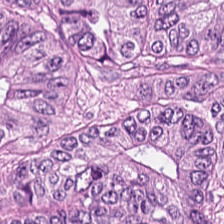H&E stain. Predominantly colorectal adenocarcinoma epithelium.
